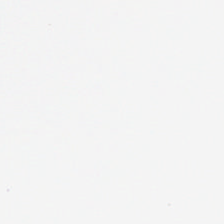Formalin-fixed paraffin-embedded section; brightfield; H&E — Q: Classify this patch.
A: This is background.
